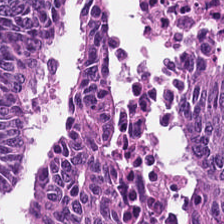Hematoxylin and eosin. Q: What type of tissue is this?
A: The field shows colorectal adenocarcinoma epithelium.
